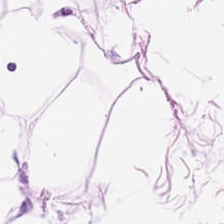H&E-stained tissue section.
Adipose.
